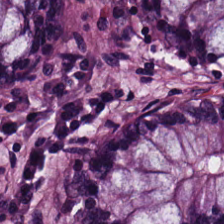Hematoxylin and eosin. Formalin-fixed paraffin-embedded section — This field is non-neoplastic colon mucosa.
